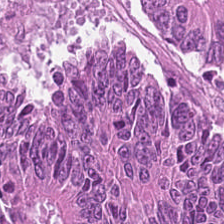H&E stain.
Predominantly colorectal adenocarcinoma epithelium.
